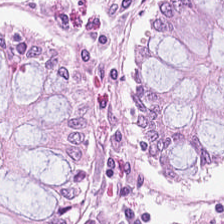Hematoxylin and eosin.
Classification — benign colonic mucosa.
